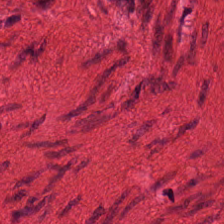Stain: H&E.
Preparation: FFPE tissue section.
Classification: muscularis.
